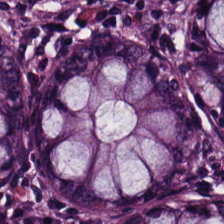Tissue type = non-neoplastic colon mucosa.
